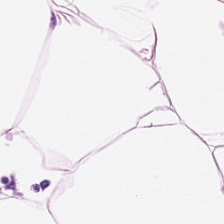Stain: hematoxylin-and-eosin stained section.
Tissue: adipose tissue.
